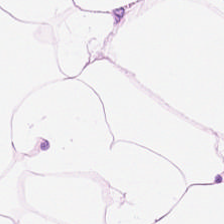WSI patch; H&E-stained tissue section — Predominantly adipocytes.
